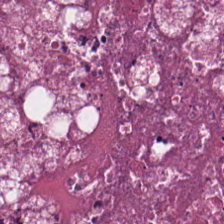This patch shows debris.
